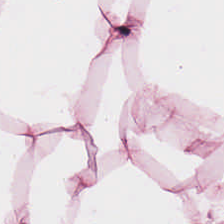H&E patch showing adipose.
